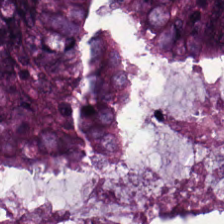H&E. The tissue here is colorectal adenocarcinoma.
